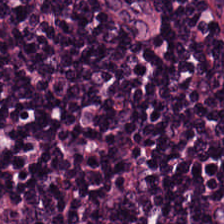Stain: hematoxylin-and-eosin stained section.
Tissue: lymphoid infiltrate.
